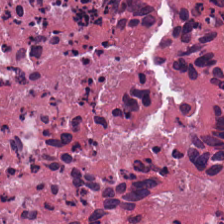Stain: hematoxylin and eosin.
Acquisition: WSI patch.
Preparation: formalin-fixed paraffin-embedded section.
Tissue type: debris.
